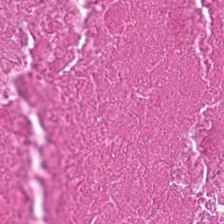H&E — debris.
